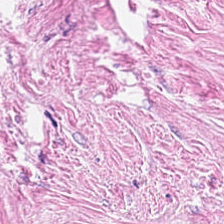Hematoxylin-and-eosin stained section. Predominantly tumor-associated stroma.
